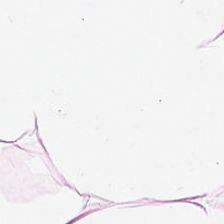Stain: hematoxylin-and-eosin stained section.
Classification: adipose tissue.
